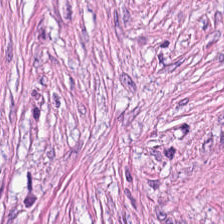Brightfield · H&E-stained tissue section.
{"tissue_type": "tumor stroma"}
